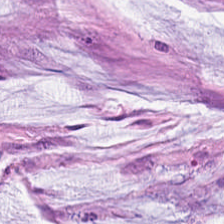{"tissue_type": "mucin"}
